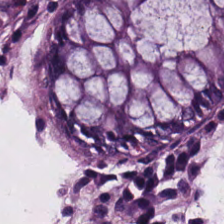H&E stain — Tissue: normal colonic mucosa.
